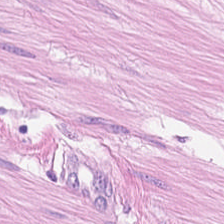Hematoxylin and eosin · FFPE.
Muscularis.
